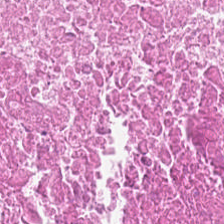{"tissue_type": "necrotic debris"}
